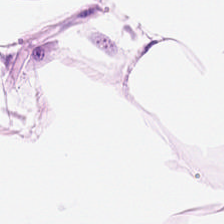Hematoxylin and eosin — Q: Classify this patch.
A: It is fat tissue.
